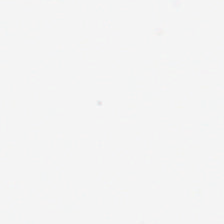H&E.
{"content": "empty background"}
